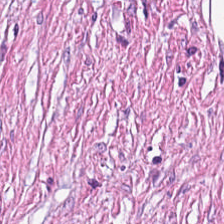Hematoxylin-and-eosin stained section. Formalin-fixed paraffin-embedded section — Q: What is shown here?
A: The field shows tumor stroma.
